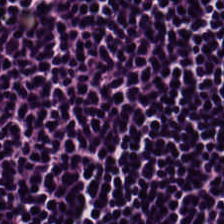H&E.
Q: What type of tissue is this?
A: This is lymphocytic infiltrate.
